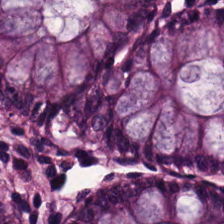20× equivalent magnification · brightfield · hematoxylin-and-eosin stained section — The classification is non-neoplastic colon mucosa.
